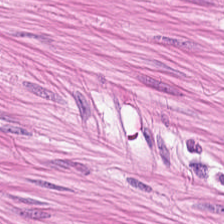Finding → smooth muscle.
